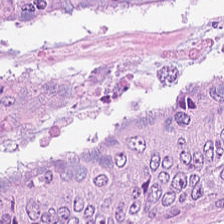Q: What does this patch show?
A: This is colorectal adenocarcinoma epithelium.
